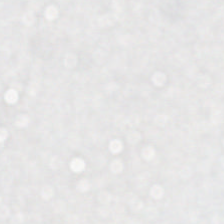H&E-stained tissue section — Q: What does this patch show?
A: The field shows background (no tissue).
